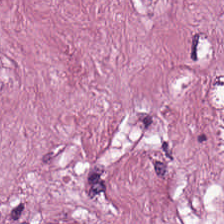224×224 px tile · FFPE tissue section · hematoxylin and eosin — Q: Classify this patch.
A: This is tumor-associated stroma.
